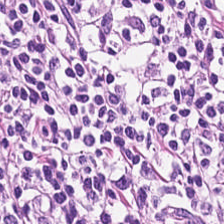H&E stain.
Predominantly lymphocytic infiltrate.
